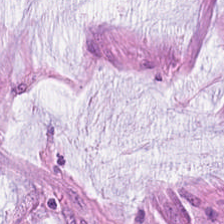H&E stain — Predominantly mucus.
